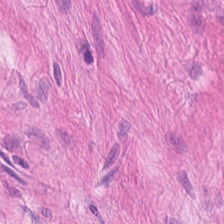H&E-stained tissue section — Impression → smooth muscle.
